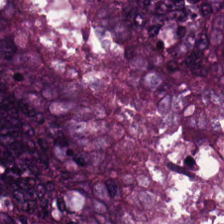Predominantly adenocarcinoma.
